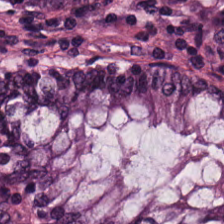H&E-stained section; the field shows non-neoplastic colon mucosa.
